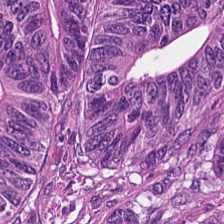Impression — tumor epithelium.
